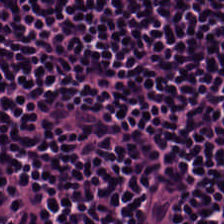H&E-stained tissue section. Predominantly lymphocytes.
